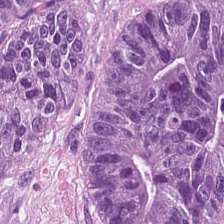224×224 px tile · H&E stain. This patch shows adenocarcinoma.
